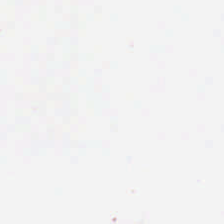H&E. Classification = empty background.
